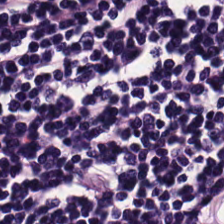Tissue type = lymphocyte aggregate.
